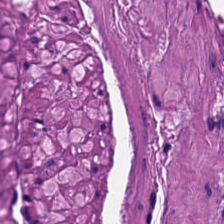Hematoxylin and eosin. Tissue type: smooth muscle.
